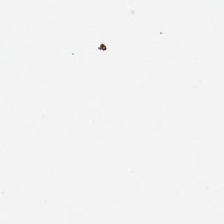Field content = no tissue.
